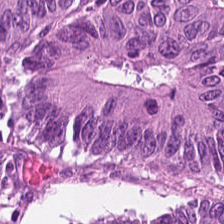20× equivalent magnification; FFPE tissue section; H&E-stained tissue section.
This patch shows tumor epithelium.
